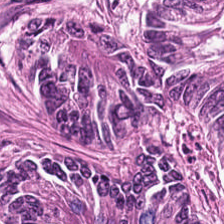Q: What type of tissue is this?
A: The field shows tumor epithelium.
